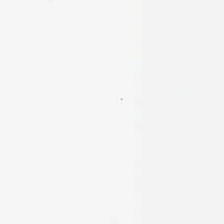224×224 px patch; H&E stain; FFPE.
Impression → background.
